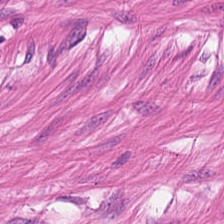Hematoxylin-and-eosin stained section — Finding → smooth-muscle tissue.
